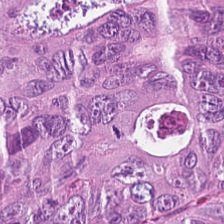The tissue here is adenocarcinoma.
